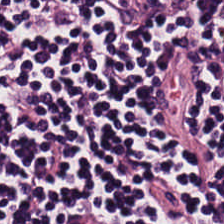H&E stain; FFPE tissue section — Tissue = lymphocyte aggregate.
